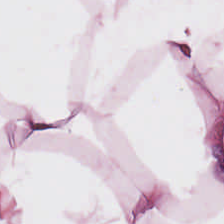Stain: hematoxylin and eosin.
Tissue class: adipocytes.
